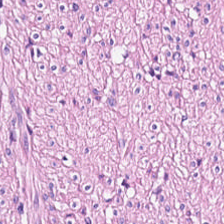Stain: H&E.
Predominant tissue: smooth muscle.
